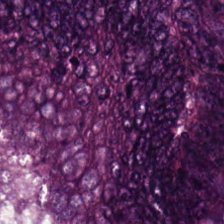Classification = adenocarcinoma.
